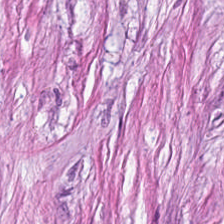H&E. Q: Classify this patch.
A: The field shows desmoplastic stroma.
